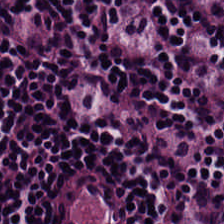The tissue type is lymphoid infiltrate.
